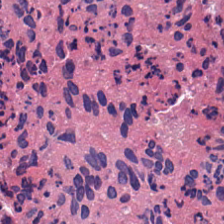H&E-stained tissue section. Tissue class: necrotic debris.
